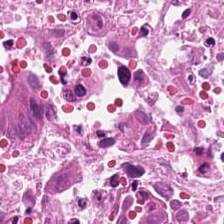The tissue is necrotic debris.
